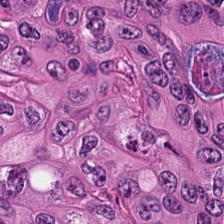224×224 px patch; H&E stain; FFPE — Histology — colorectal adenocarcinoma.
